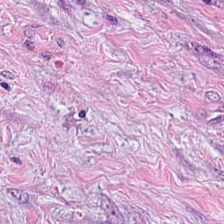Tissue class: desmoplastic stroma.
